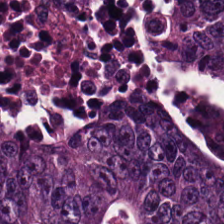H&E stain — Histology → colorectal adenocarcinoma.
